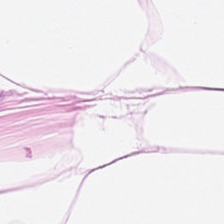224×224 px patch · H&E-stained tissue section · 20× equivalent magnification — Predominant tissue: adipose.
